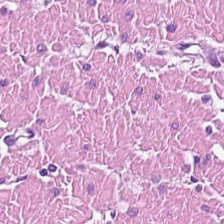H&E — Impression — smooth muscle.
